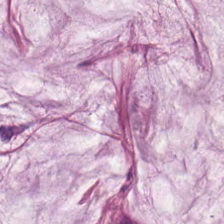H&E stain — Tissue class: extracellular mucin.
